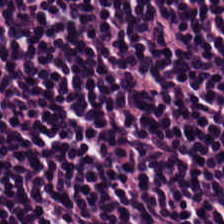Tissue class — lymphocytic infiltrate.
